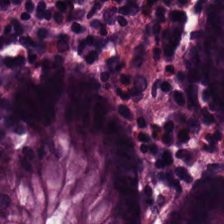Classification: non-neoplastic colon mucosa.
